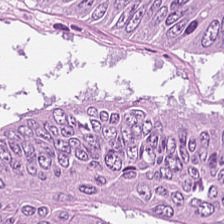H&E. {"tissue_type": "malignant epithelium"}
